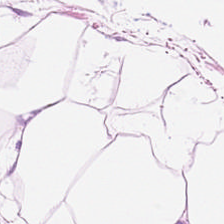Stain: hematoxylin-and-eosin stained section.
Tile size: 224×224 pixel tile.
Tissue type: adipose tissue.
